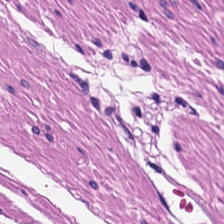H&E-stained tissue section; 20× equivalent magnification. Predominant tissue: smooth-muscle tissue.
